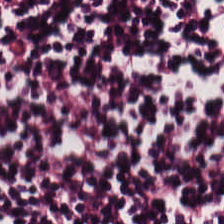WSI patch · H&E-stained tissue section. Showing lymphocytes.
